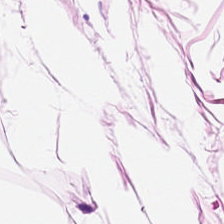Hematoxylin and eosin. The tissue class is adipose tissue.
